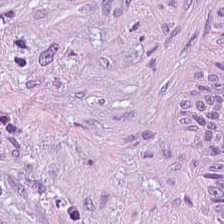H&E-stained tissue section — This field is tumor stroma.
